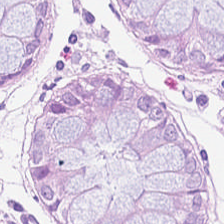H&E · 224×224 pixel tile — Q: Classify this patch.
A: Non-neoplastic colon mucosa.
